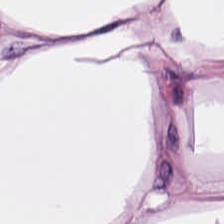H&E-stained tissue section · 224×224 pixel tile.
Impression → adipose.
